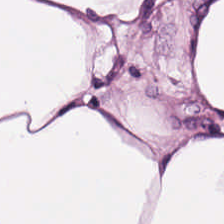H&E. 0.5 µm per pixel.
Impression → adipose.
